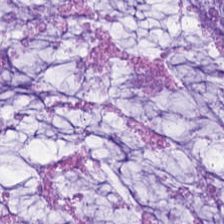0.5 microns per pixel. Brightfield microscopy. Hematoxylin and eosin.
Q: What does this patch show?
A: This is mucus.
